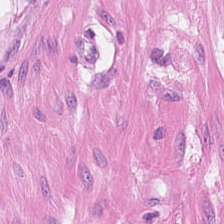Hematoxylin-and-eosin stained section · 224×224 px patch.
Q: What tissue type is shown here?
A: This is muscularis.
